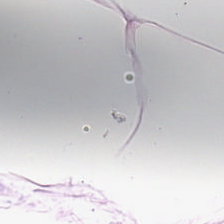H&E stain.
Tissue class: fat tissue.
